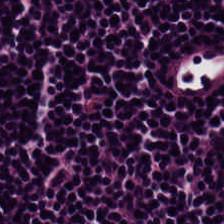Stain: H&E.
Predominant tissue: lymphocytes.
